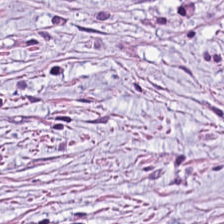The tissue here is cancer-associated stroma.
